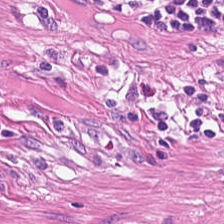Hematoxylin-and-eosin stained section. Predominantly muscularis.
